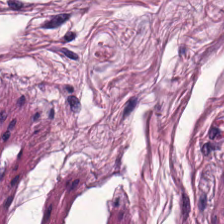FFPE · 0.5 µm per pixel · hematoxylin-and-eosin stained section — Predominant tissue — muscularis.
